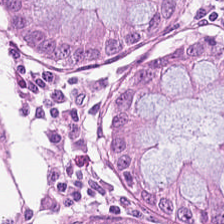H&E-stained tissue section.
Impression → non-neoplastic colon mucosa.
